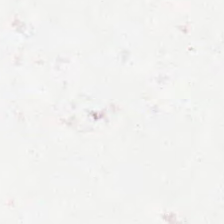Whole-slide-image patch · hematoxylin-and-eosin stained section. Field content: background.
